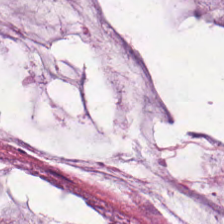Stain: hematoxylin-and-eosin stained section.
Tissue: mucin.
